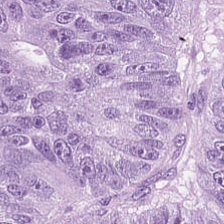224×224 pixel tile; hematoxylin-and-eosin stained section; WSI patch — Q: What is shown in this field?
A: The field shows adenocarcinoma.
